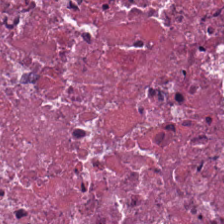H&E stain.
The tissue here is cellular debris.
